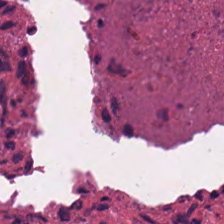Stain: H&E.
Tissue: necrotic debris.
